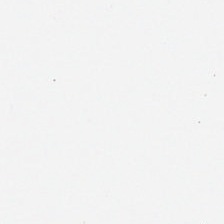H&E stain · 224×224 px tile.
The field content is background.
